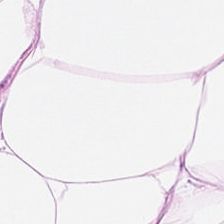Showing fat tissue.
